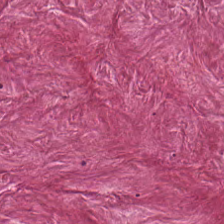H&E stain · 224×224 pixel tile — Predominant tissue — cancer-associated stroma.
